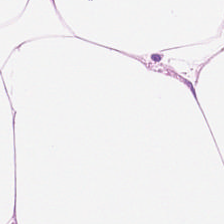H&E; 0.5 µm/px; whole-slide-image patch — Predominant tissue — adipose tissue.
